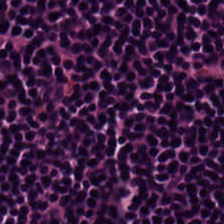H&E-stained tissue section.
Predominantly lymphocyte aggregate.
